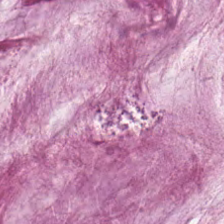The tissue is mucus.
